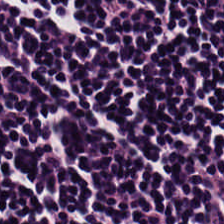Hematoxylin-and-eosin stained section; 224×224 pixel tile. The predominant tissue is lymphocytic infiltrate.
